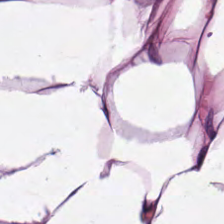FFPE tissue section; H&E — Tissue type — fat tissue.
